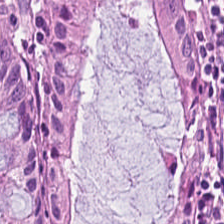H&E-stained tissue section · FFPE tissue section.
This field is normal colonic mucosa.
